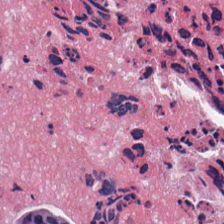0.5 microns per pixel; H&E stain; FFPE tissue section. Q: What tissue type is shown here?
A: Cellular debris.
